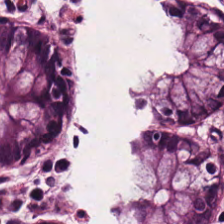H&E stain.
Classification — non-neoplastic colon mucosa.
